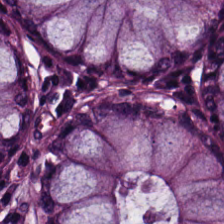Hematoxylin-and-eosin stained section.
Q: What type of tissue is this?
A: It is non-neoplastic colon mucosa.
